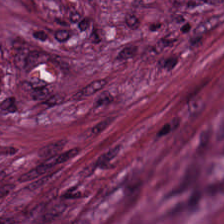H&E — Q: What type of tissue is this?
A: The field shows cancer-associated stroma.
